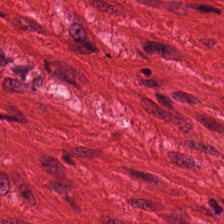Hematoxylin and eosin. Q: Classify this patch.
A: The field shows smooth-muscle tissue.
